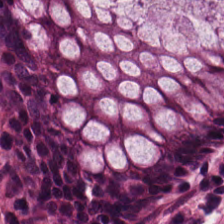Hematoxylin-and-eosin stained section. 224×224 pixel tile — {"tissue_type": "benign colonic mucosa"}
